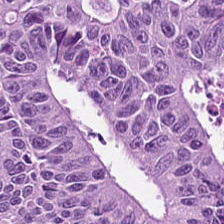H&E stain · WSI patch — The tissue type is tumor epithelium.
